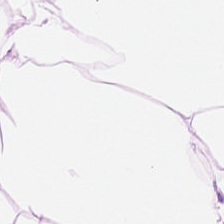H&E.
Showing fat tissue.
